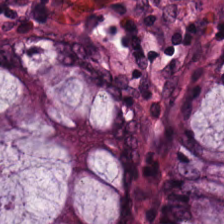Hematoxylin-and-eosin stained section · 224×224 px patch. The predominant tissue is non-neoplastic colon mucosa.
